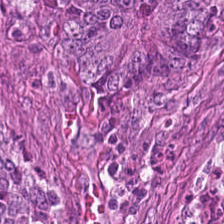Stain: hematoxylin and eosin.
Tissue: adenocarcinoma.
